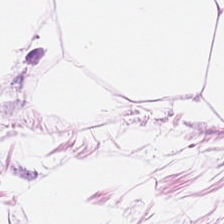Hematoxylin-and-eosin stained section. 224×224 px patch.
Adipocytes.
